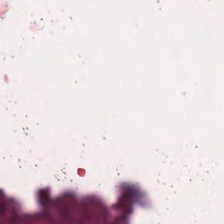FFPE tissue section; H&E-stained tissue section. Q: What is shown here?
A: The field shows cellular debris.
